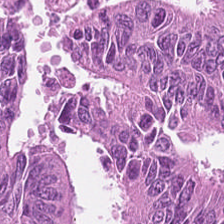H&E stain · 224×224 px tile · 0.5 µm per pixel — Showing tumor epithelium.
